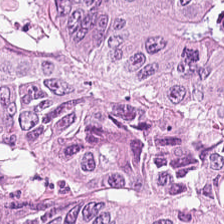H&E.
Classification — adenocarcinoma.
